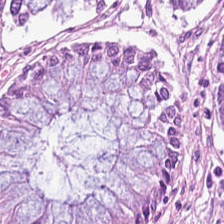Hematoxylin and eosin · 0.5 µm per pixel · formalin-fixed paraffin-embedded section.
Normal colon mucosa.
